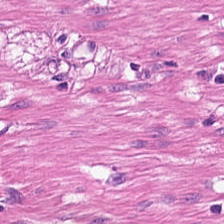Hematoxylin-and-eosin stained section. The predominant tissue is smooth muscle.
